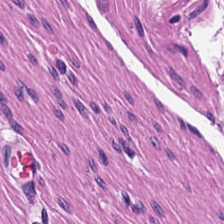FFPE; whole-slide-image patch; H&E-stained tissue section — Tissue type = muscularis.
